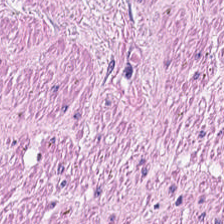Whole-slide-image patch. H&E stain.
This patch shows smooth muscle.
